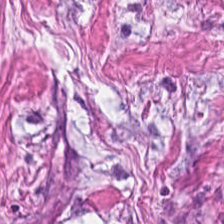Hematoxylin-and-eosin stained section. Brightfield microscopy.
The tissue type is desmoplastic stroma.
